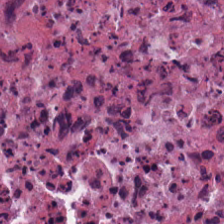Q: What is shown in this field?
A: The field shows necrotic debris.
